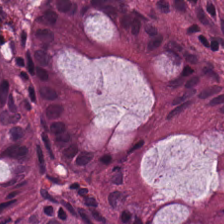H&E — Q: What tissue type is shown here?
A: Normal colonic mucosa.
